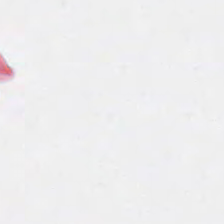Finding → background.
